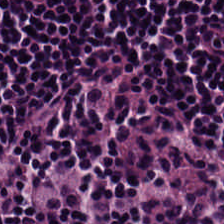224×224 pixel tile; formalin-fixed paraffin-embedded section; hematoxylin and eosin — The predominant tissue is lymphoid infiltrate.
